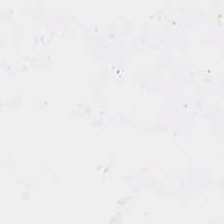Hematoxylin-and-eosin stained section.
Finding → background (no tissue).
